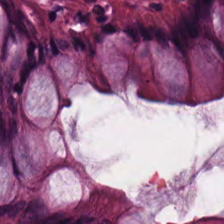H&E-stained tissue section.
Normal colon mucosa.
